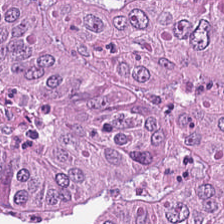Stain: hematoxylin and eosin.
Tissue type: colorectal adenocarcinoma.
